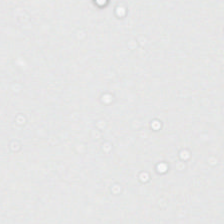H&E-stained tissue section; 224×224 px patch — Field content — empty background.
